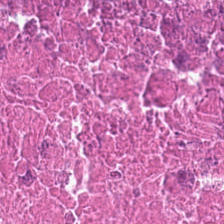Hematoxylin-and-eosin stained section.
This patch shows debris.
